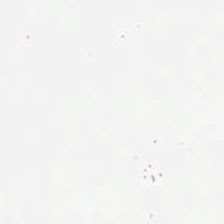Background — no tissue in this field.
